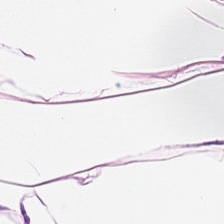0.5 µm per pixel; H&E-stained tissue section. {"tissue_type": "adipose"}
